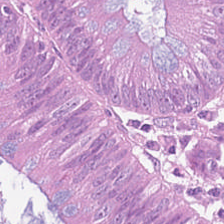Hematoxylin and eosin. 0.5 microns per pixel. Tissue type — colorectal adenocarcinoma epithelium.
